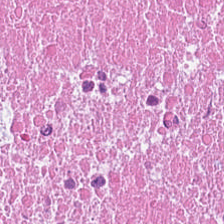H&E stain. Finding — debris.
